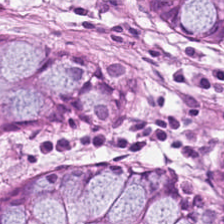Hematoxylin-and-eosin stained section. FFPE tissue section. Q: Identify the tissue.
A: The field shows non-neoplastic colon mucosa.
